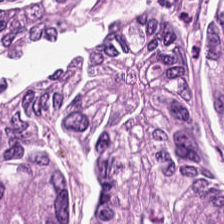Predominant tissue = adenocarcinoma.
